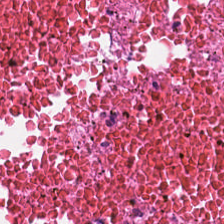Classification — cellular debris.
